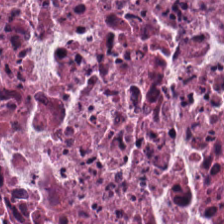20× equivalent magnification · H&E-stained tissue section · formalin-fixed paraffin-embedded section — This field is necrotic debris.
